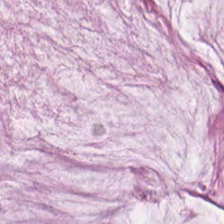Hematoxylin and eosin — Histology — mucin.
